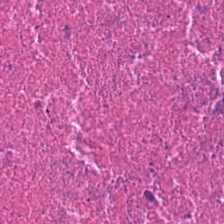Cellular debris.
